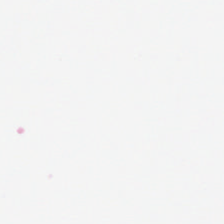H&E-stained tissue section. Content = empty background.
